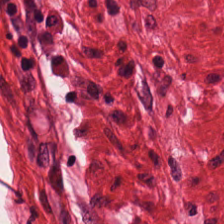224×224 px patch; H&E stain.
Impression → muscularis.
